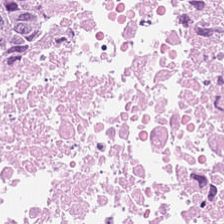0.5 µm per pixel. H&E. 224×224 px tile. Finding → cellular debris.
